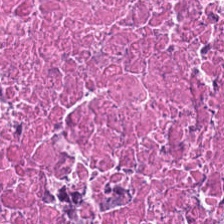Hematoxylin-and-eosin stained section.
Predominantly necrotic debris.
